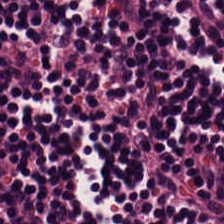Hematoxylin-and-eosin stained section. FFPE tissue section. 0.5 µm/px — The tissue here is lymphocytes.
